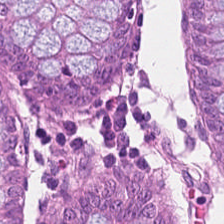H&E; whole-slide-image patch; formalin-fixed paraffin-embedded section. The tissue class is non-neoplastic colon mucosa.
